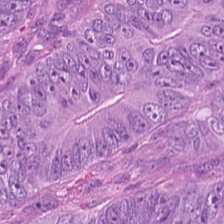224×224 px tile · H&E · brightfield.
Tissue class = malignant epithelium.
